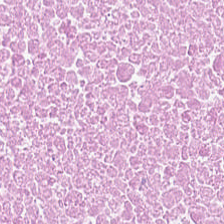Stain: H&E stain.
Tissue type: necrotic debris.
